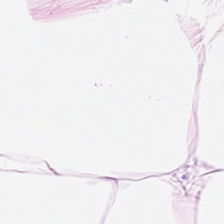H&E.
Predominantly adipocytes.
